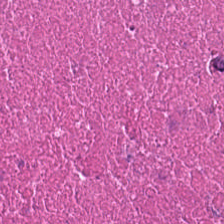Hematoxylin and eosin.
The classification is cellular debris.
